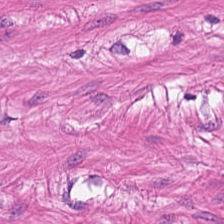Hematoxylin-and-eosin stained section. WSI patch. Q: What tissue type is shown here?
A: The field shows muscularis.
